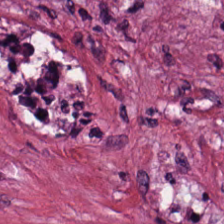H&E-stained tissue section. The tissue type is desmoplastic stroma.
